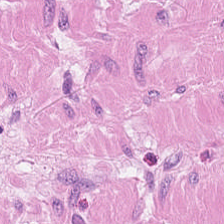Hematoxylin-and-eosin stained section; formalin-fixed paraffin-embedded section; 224×224 pixel tile.
This patch shows smooth muscle.
